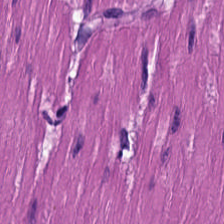Brightfield microscopy · 20× equivalent magnification · H&E. Q: What type of tissue is this?
A: Smooth-muscle tissue.
